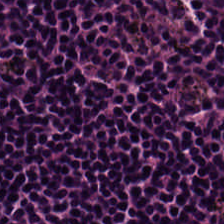Q: What is the predominant tissue type?
A: It is lymphocytic infiltrate.
